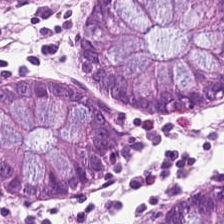H&E · whole-slide-image patch.
Showing normal colonic mucosa.
